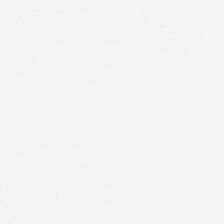The field content is background.
